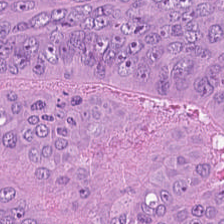Stain: H&E.
Classification: tumor epithelium.
